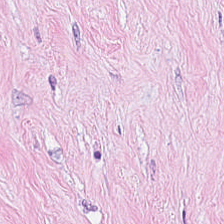Hematoxylin and eosin — The tissue here is desmoplastic stroma.
